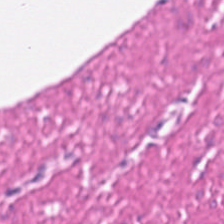H&E.
Tissue = smooth muscle.
